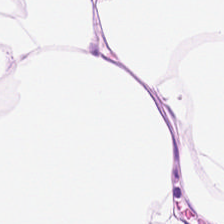Brightfield · hematoxylin and eosin.
Classification = adipocytes.
